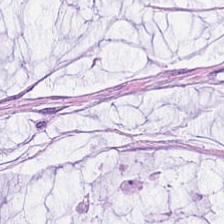Classification: mucin.
